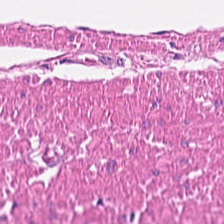Stain: H&E stain.
Acquisition: whole-slide-image patch.
Tile size: 224×224 px patch.
Tissue type: smooth muscle.
